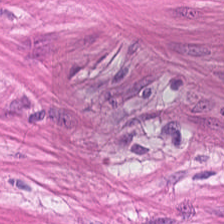H&E-stained tissue section; 0.5 µm per pixel; brightfield microscopy. This field is smooth muscle.
